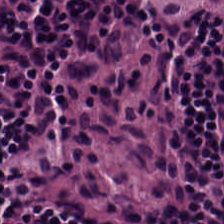Hematoxylin-and-eosin section: lymphoid infiltrate.
